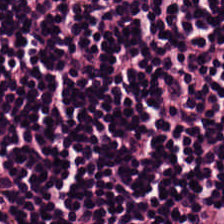H&E-stained tissue section — Classification = lymphocytes.
